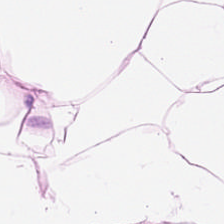Predominant tissue: adipose tissue.
